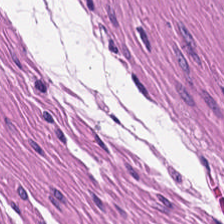Finding → smooth muscle.
